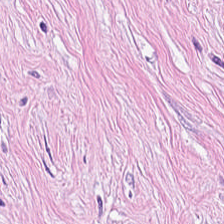Tissue class: cancer-associated stroma.
